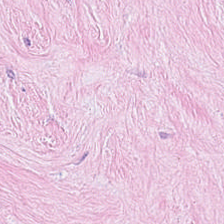Hematoxylin-and-eosin stained section. This patch shows cancer-associated stroma.
